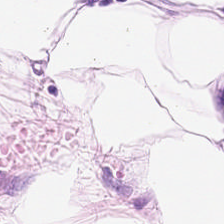H&E stain — Predominantly adipose tissue.
